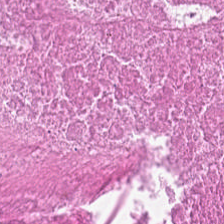H&E-stained tissue section — {"tissue_type": "necrotic debris"}
